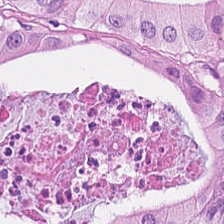H&E-stained tissue section; 0.5 microns per pixel. {"tissue_type": "adenocarcinoma"}
